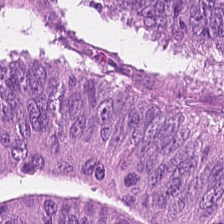H&E.
Q: What is the predominant tissue type?
A: This is adenocarcinoma.
